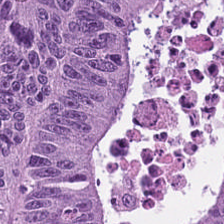{"tissue_type": "adenocarcinoma"}
